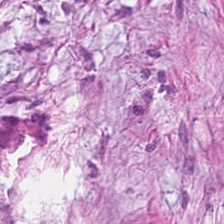The predominant tissue is tumor-associated stroma.
